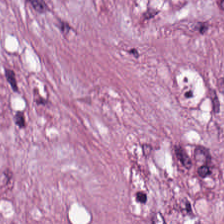H&E-stained tissue section.
Q: What is shown here?
A: The field shows tumor stroma.
